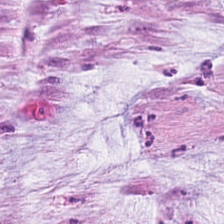H&E · brightfield microscopy.
Tissue = mucus.
